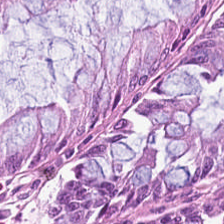Hematoxylin and eosin; FFPE tissue section. The predominant tissue is normal colon mucosa.
